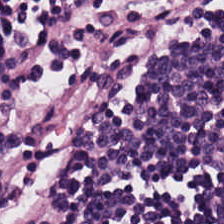Hematoxylin and eosin — Tissue class = lymphoid infiltrate.
